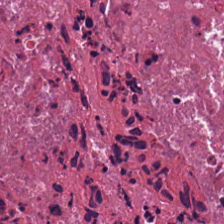Hematoxylin and eosin — Tissue class: debris.
